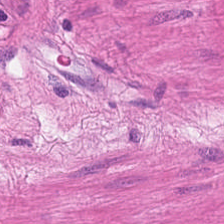Brightfield · hematoxylin-and-eosin stained section. Q: What tissue is shown?
A: Smooth muscle.
